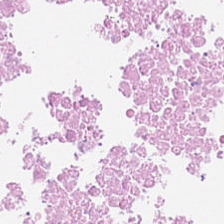H&E-stained tissue section; 0.5 µm per pixel; 224×224 px patch. Tissue type: debris.
